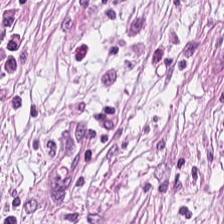H&E-stained tissue section.
Tissue: tumor stroma.
